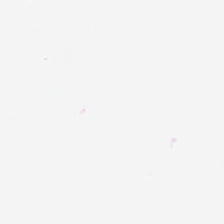Empty field — empty background.
